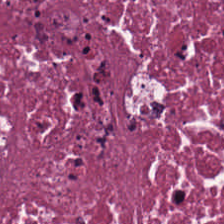Hematoxylin and eosin · WSI patch — This patch shows cellular debris.
